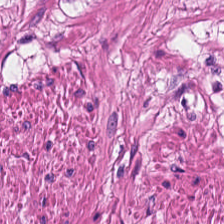Hematoxylin-and-eosin stained section.
Showing smooth-muscle tissue.
